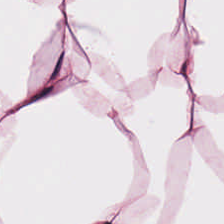H&E stain; brightfield. Fat tissue.
